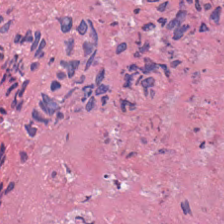Stain: H&E-stained tissue section.
Preparation: FFPE tissue section.
Resolution: 0.5 microns per pixel.
Predominant tissue: cellular debris.
